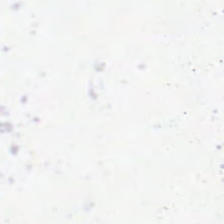Q: What is shown here?
A: It is background.
